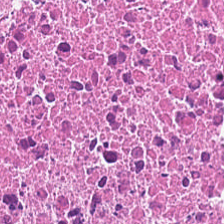Brightfield microscopy · H&E stain — This field is necrotic debris.
